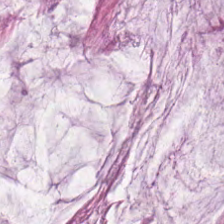Stain: H&E-stained tissue section.
Preparation: formalin-fixed paraffin-embedded section.
Acquisition: whole-slide-image patch.
Classification: mucin.
